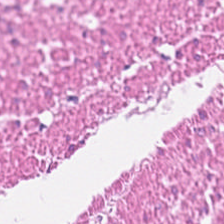Hematoxylin-and-eosin stained section.
Muscularis.
